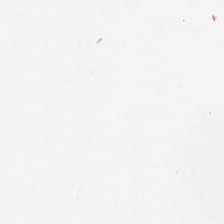H&E-stained tissue section — Q: What is shown in this field?
A: No tissue.
